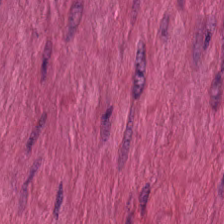H&E stain — Tissue = smooth muscle.
